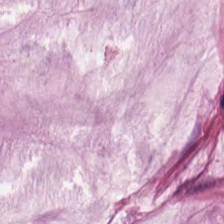Stain: H&E-stained tissue section.
Tissue: mucin.
